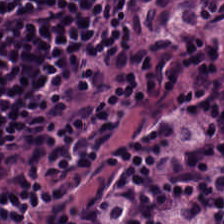H&E stain — Tissue: lymphocytic infiltrate.
